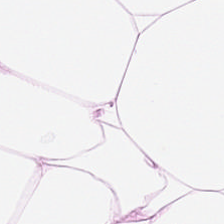224×224 px tile. H&E stain. 0.5 µm per pixel. Tissue class = fat tissue.
